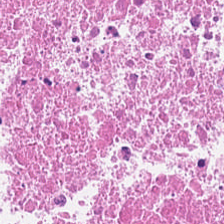Predominant tissue = debris.
